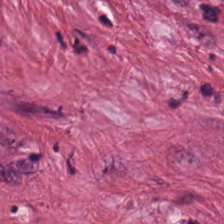H&E-stained tissue section. Histology — cancer-associated stroma.
